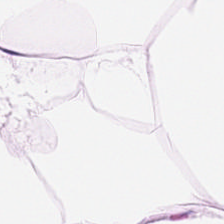Hematoxylin-and-eosin stained section. Formalin-fixed paraffin-embedded section. Classification = adipose.
